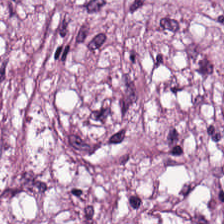Brightfield. 20× equivalent magnification. H&E stain — {"tissue_type": "tumor stroma"}
